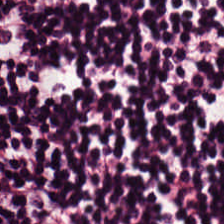Histology → lymphocyte aggregate.
